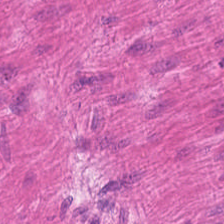H&E stain — Smooth muscle.
